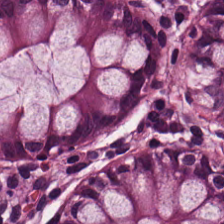Hematoxylin and eosin.
The predominant tissue is normal colonic mucosa.
